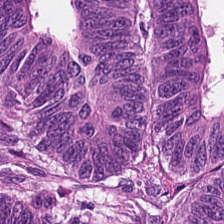H&E — malignant epithelium.
